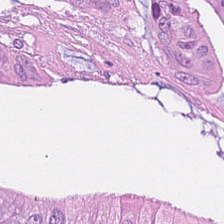FFPE tissue section · 224×224 px patch · hematoxylin and eosin — Predominant tissue — adenocarcinoma.
